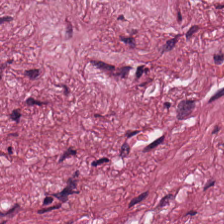Stain: hematoxylin and eosin.
Tissue: cancer-associated stroma.
